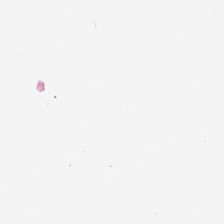Background — no tissue in this field.
